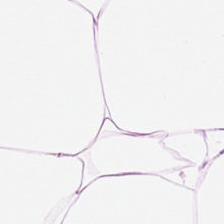H&E stain; brightfield. {"tissue_type": "adipocytes"}
